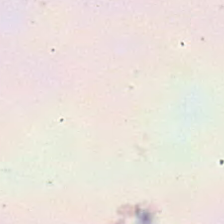H&E. 0.5 µm per pixel. Brightfield.
The content is no tissue.
